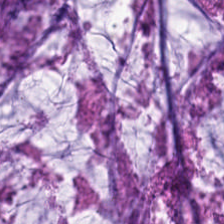Stain: H&E stain.
Tissue class: mucus.
